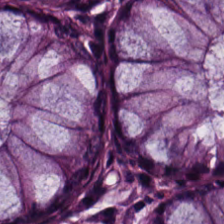H&E. Impression → non-neoplastic colon mucosa.
